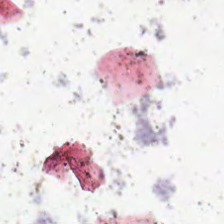Hematoxylin-and-eosin stained section — Q: What is shown here?
A: Background.
